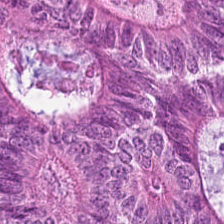Q: What does this patch show?
A: This is tumor epithelium.
